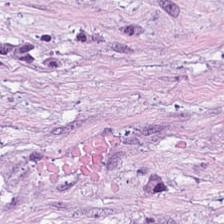Brightfield · H&E stain.
The predominant tissue is tumor-associated stroma.
